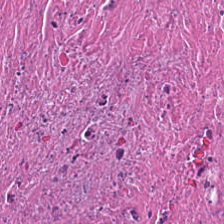Hematoxylin-and-eosin stained section.
Impression — debris.
